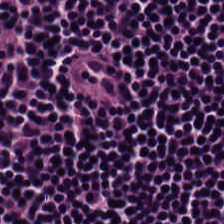Predominant tissue = lymphocytic infiltrate.
